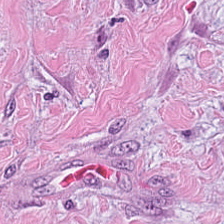H&E-stained tissue section; 0.5 µm/px; 224×224 px tile.
Impression — cancer-associated stroma.
